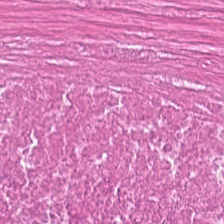H&E stain; formalin-fixed paraffin-embedded section. Tissue — necrotic debris.
